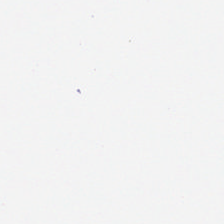Stain: H&E stain.
Field content: no tissue.
